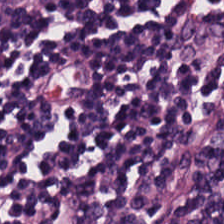Stain: H&E.
Preparation: formalin-fixed paraffin-embedded section.
Acquisition: brightfield.
Tissue: lymphocytes.
